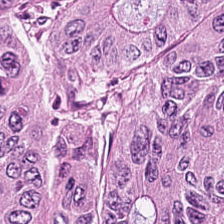Q: Identify the tissue.
A: It is adenocarcinoma.
